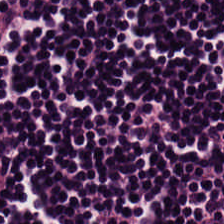H&E stain — Showing lymphocytes.
